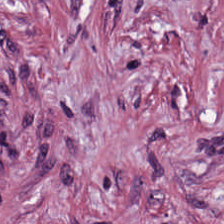H&E-stained tissue section · 20× equivalent magnification · FFPE — The tissue here is desmoplastic stroma.
